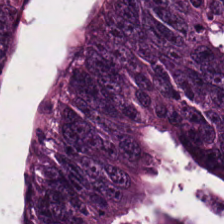Showing adenocarcinoma.
